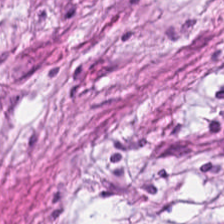H&E.
Impression — tumor stroma.
